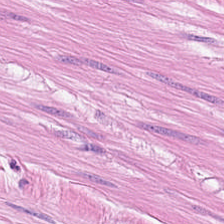Finding — smooth-muscle tissue.
